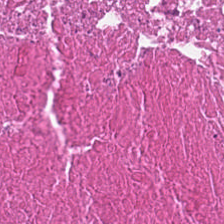Stain: H&E stain.
Acquisition: brightfield.
Tissue class: necrotic debris.
